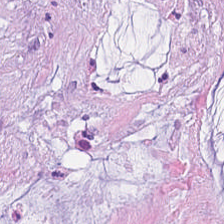Hematoxylin-and-eosin section: extracellular mucin.
